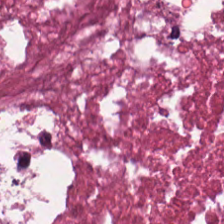FFPE tissue section · hematoxylin-and-eosin stained section. Q: Identify the tissue.
A: The field shows debris.
